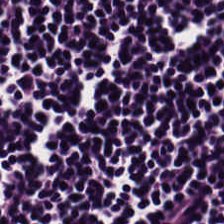WSI patch · hematoxylin-and-eosin stained section — This patch shows lymphocyte aggregate.
